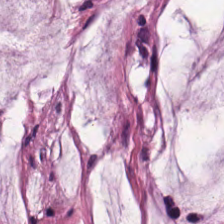H&E-stained tissue section.
Q: What does this patch show?
A: Mucin.
